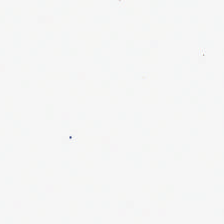Stain: H&E stain.
Content: background (no tissue).
